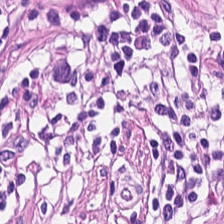H&E — Impression → lymphocytes.
